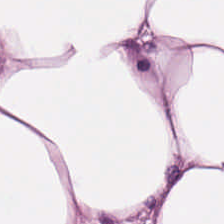Tissue: adipose.
